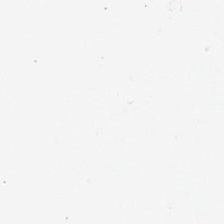Hematoxylin-and-eosin stained section — Classification = empty background.
